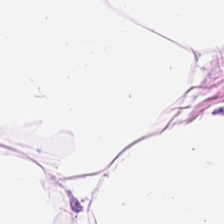H&E. Predominantly adipose tissue.
